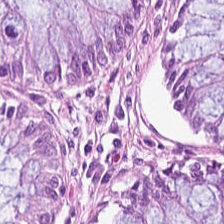20× equivalent magnification. H&E. Brightfield microscopy.
The predominant tissue is normal colon mucosa.
